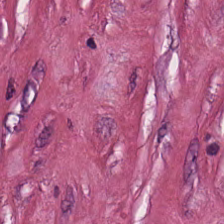Tissue type: cancer-associated stroma.
